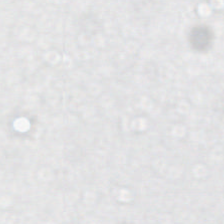Content — no tissue.
